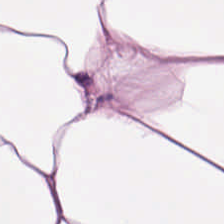Impression — adipocytes.
